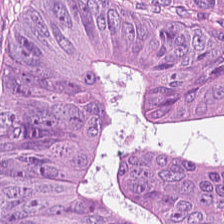Malignant epithelium.
